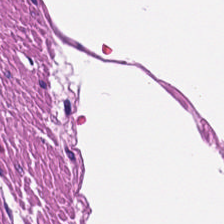Hematoxylin and eosin.
Tissue type: muscularis.
